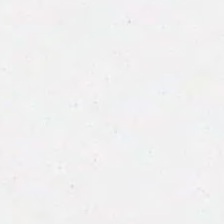Background — no tissue in this field.
